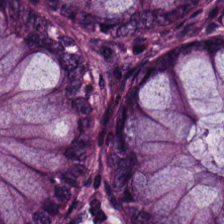Predominantly benign colonic mucosa.
